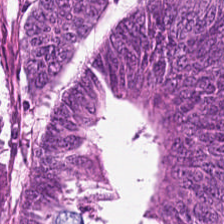FFPE. H&E-stained tissue section. 224×224 pixel tile — Q: What is the predominant tissue type?
A: Colorectal adenocarcinoma epithelium.
